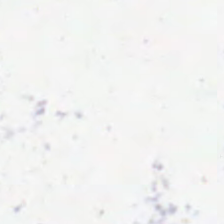H&E. FFPE tissue section. Content — background.
